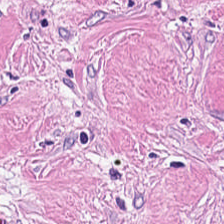0.5 µm per pixel; hematoxylin and eosin.
Predominant tissue = tumor-associated stroma.
